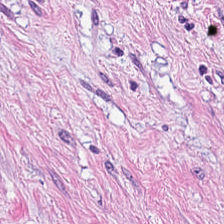224×224 pixel tile · FFPE tissue section · H&E — Showing tumor stroma.
